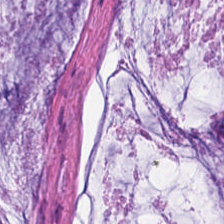H&E patch showing mucin.
